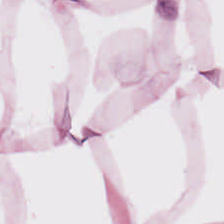Hematoxylin-and-eosin stained section · 20× equivalent magnification — The tissue type is adipose tissue.
